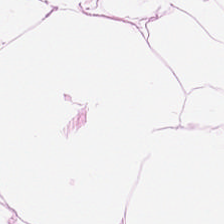20× equivalent magnification · H&E. Finding → adipocytes.
